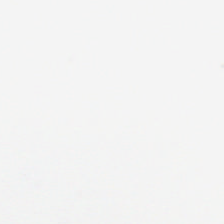H&E · 224×224 pixel tile · 0.5 µm/px. This patch shows background.
